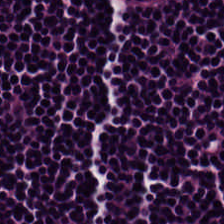Brightfield microscopy. H&E-stained tissue section. 20× equivalent magnification. The tissue is lymphoid infiltrate.
